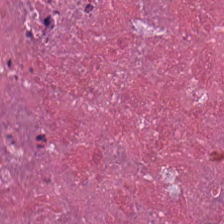Hematoxylin and eosin; 224×224 px tile — The tissue here is cellular debris.
